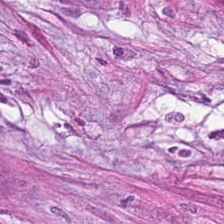Hematoxylin-and-eosin stained section. 20× equivalent magnification. Whole-slide-image patch.
Predominant tissue: tumor stroma.
